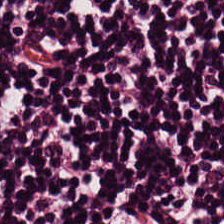{"tissue_type": "lymphocytes"}
